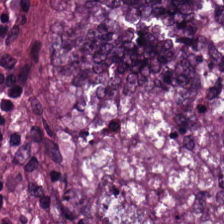H&E — colorectal adenocarcinoma epithelium.
